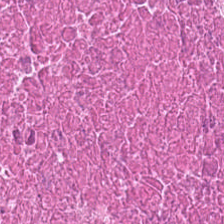224×224 px tile; H&E-stained tissue section.
Showing debris.
